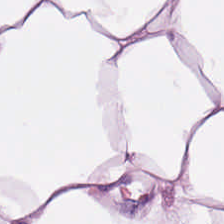H&E. The predominant tissue is adipocytes.
